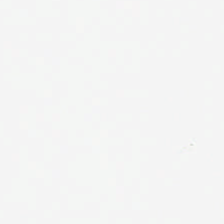FFPE; hematoxylin and eosin.
Impression — background.
